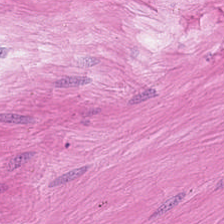Hematoxylin and eosin; 224×224 px tile.
This patch shows smooth-muscle tissue.
